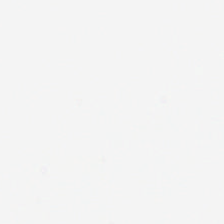Hematoxylin and eosin · 224×224 px patch.
Q: What is shown in this field?
A: The field shows empty background.
